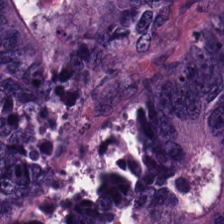Histology — tumor epithelium.
